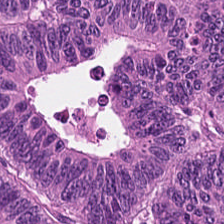Histology → adenocarcinoma.
